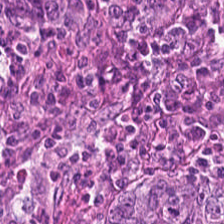Stain: H&E stain.
Tile size: 224×224 pixel tile.
Tissue class: tumor epithelium.
